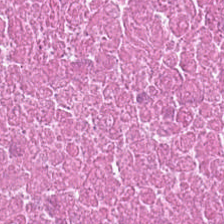Cellular debris.
